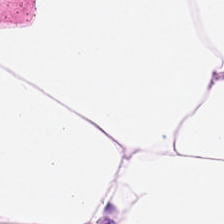Hematoxylin and eosin.
This field is adipose tissue.
